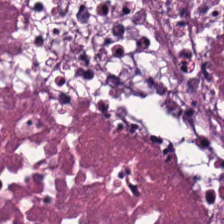Histology — cellular debris.
